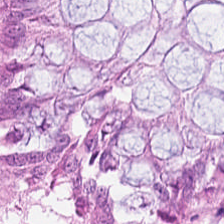224×224 px patch; H&E stain; formalin-fixed paraffin-embedded section — Q: Classify this patch.
A: This is normal colon mucosa.
